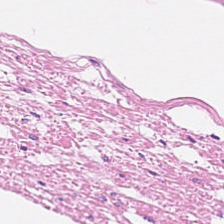0.5 µm/px. H&E-stained tissue section. FFPE tissue section — Showing muscularis.
